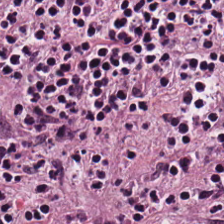H&E stain — Q: What is shown in this field?
A: It is lymphoid infiltrate.
